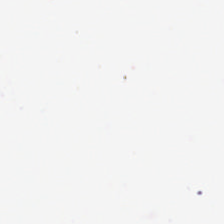H&E stain. Brightfield microscopy. 20× equivalent magnification — Q: What is shown here?
A: The field shows background.
